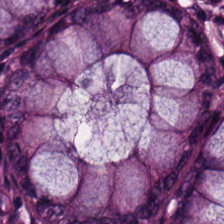Hematoxylin and eosin — Showing non-neoplastic colon mucosa.
